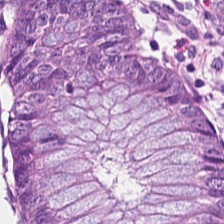Hematoxylin and eosin.
Histology — non-neoplastic colon mucosa.
